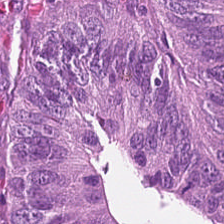Formalin-fixed paraffin-embedded section · hematoxylin and eosin · brightfield microscopy. Histology — malignant epithelium.
